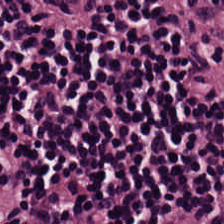Formalin-fixed paraffin-embedded section · hematoxylin-and-eosin stained section — The predominant tissue is lymphocytic infiltrate.
